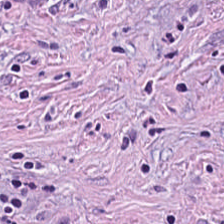Stain: hematoxylin and eosin.
Acquisition: WSI patch.
Preparation: FFPE tissue section.
Predominant tissue: tumor-associated stroma.
